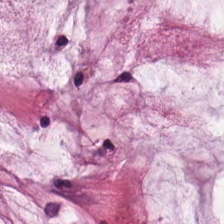0.5 µm/px. Hematoxylin and eosin — This field is mucus.
